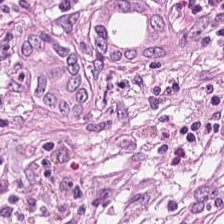Tissue class: tumor stroma.
